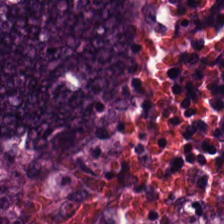FFPE tissue section. Brightfield microscopy. Hematoxylin and eosin.
Predominantly adenocarcinoma.
